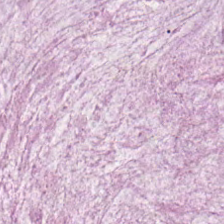H&E stain; 224×224 pixel tile.
Q: Classify this patch.
A: This is extracellular mucin.
